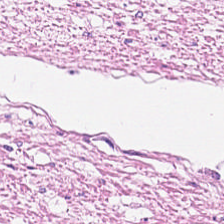Histology → smooth muscle.
